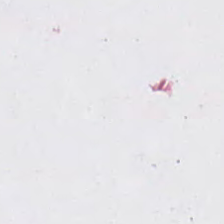Stain: hematoxylin-and-eosin stained section.
Content: empty background.
